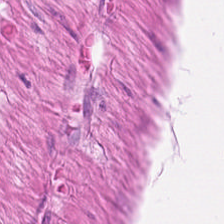H&E stain; 0.5 µm/px. The tissue here is muscularis.
